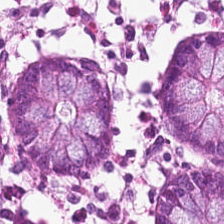Hematoxylin-and-eosin stained section.
Tissue class = normal colonic mucosa.
